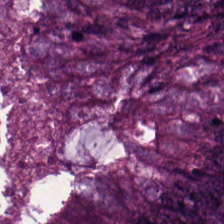Hematoxylin and eosin.
{"tissue_type": "malignant epithelium"}
